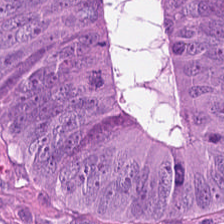Predominantly malignant epithelium.
